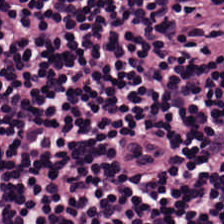Stain: H&E.
Classification: lymphocytes.
